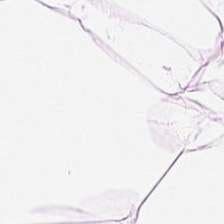224×224 px patch · H&E stain · 0.5 µm/px.
Q: Identify the tissue.
A: Fat tissue.
